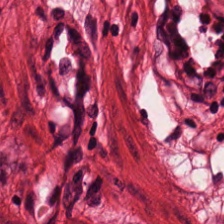Q: Classify this patch.
A: It is muscularis.
